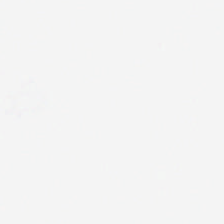H&E-stained tissue section — Q: What is shown here?
A: This is no tissue.
